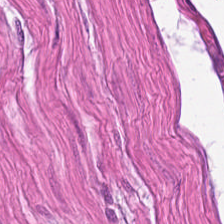H&E stain — Classification — smooth muscle.
